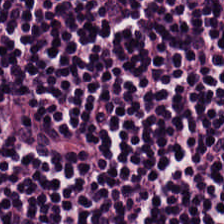{"tissue_type": "lymphocytes"}
